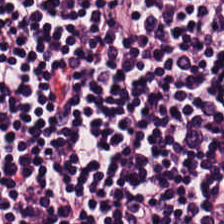Predominant tissue = lymphocytes.
